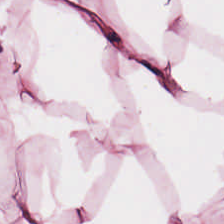Hematoxylin and eosin. Fat tissue.
